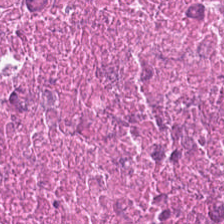Stain: H&E-stained tissue section.
Tissue class: cellular debris.
